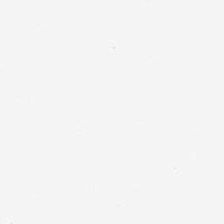Hematoxylin and eosin — Q: What is shown here?
A: Empty background.
